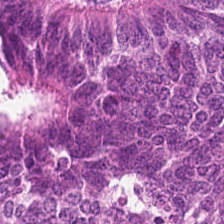FFPE · H&E stain.
Adenocarcinoma.
